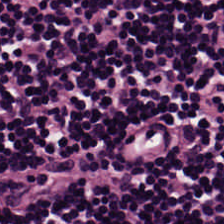Hematoxylin and eosin.
Predominantly lymphocyte aggregate.
